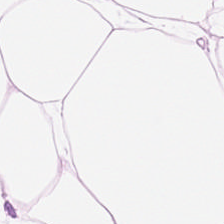H&E stain. Finding — adipose.
